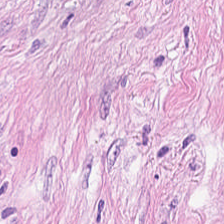H&E stain. Finding — tumor-associated stroma.
